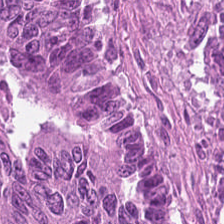Tissue type: colorectal adenocarcinoma.
